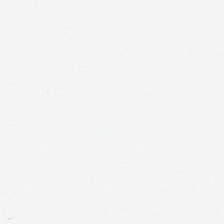Stain: hematoxylin-and-eosin stained section.
Acquisition: WSI patch.
Content: no tissue.
